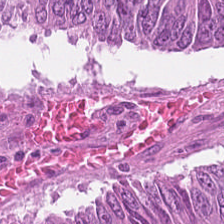Brightfield · hematoxylin-and-eosin stained section · 20× equivalent magnification — The tissue here is tumor epithelium.
